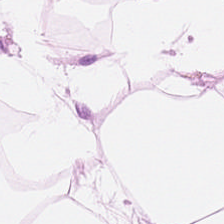Stain: H&E.
Tissue type: fat tissue.
